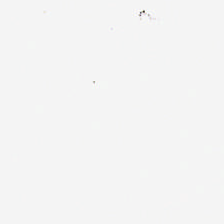H&E stain. This patch shows background (no tissue).
